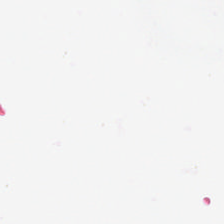Brightfield microscopy · 20× equivalent magnification · H&E stain. Content — background.
